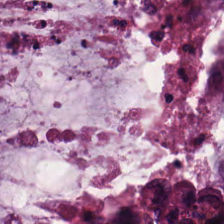Stain: H&E.
Classification: mucin.
